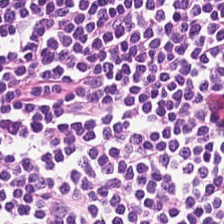Stain: hematoxylin-and-eosin stained section.
Acquisition: brightfield microscopy.
Tile size: 224×224 px tile.
Tissue class: lymphocytes.
